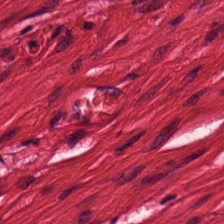Hematoxylin and eosin; FFPE. The tissue type is smooth muscle.
